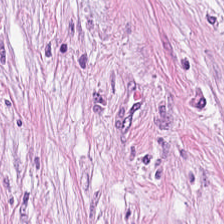Hematoxylin-and-eosin stained section. Q: What tissue is shown?
A: Desmoplastic stroma.
